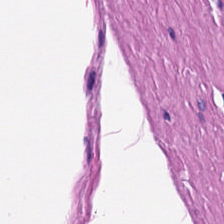Stain: hematoxylin and eosin.
Resolution: 20× equivalent magnification.
Predominant tissue: smooth-muscle tissue.
